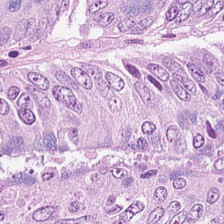H&E-stained tissue section · 20× equivalent magnification.
{"tissue_type": "tumor epithelium"}
